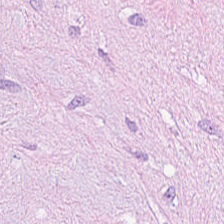H&E stain — Q: What tissue type is shown here?
A: It is tumor-associated stroma.
